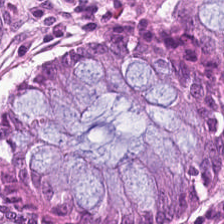H&E stain — Q: What type of tissue is this?
A: It is normal colonic mucosa.
